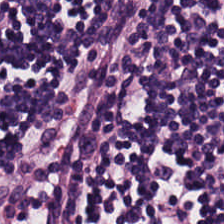Hematoxylin-and-eosin stained section; 0.5 microns per pixel.
Showing lymphocytic infiltrate.
